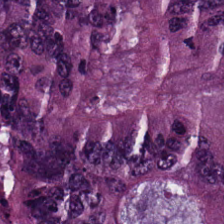Hematoxylin and eosin. 224×224 px patch.
Predominant tissue: adenocarcinoma.
